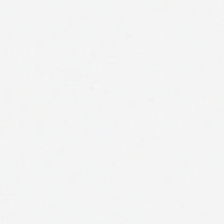Hematoxylin and eosin — The classification is background.
